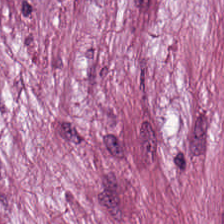FFPE tissue section. H&E. 20× equivalent magnification. This field is cancer-associated stroma.
